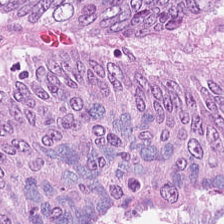224×224 pixel tile; H&E-stained tissue section; 20× equivalent magnification.
This patch shows colorectal adenocarcinoma epithelium.
